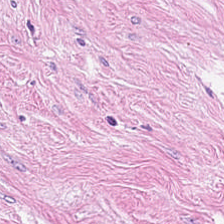Q: What is shown in this field?
A: This is tumor stroma.
